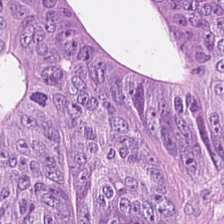H&E-stained tissue section — Tissue type: adenocarcinoma.
